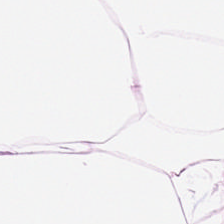Q: What is the predominant tissue type?
A: The field shows fat tissue.
